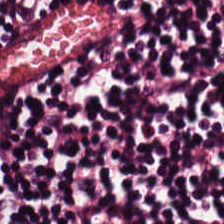Hematoxylin-and-eosin stained section. FFPE. 224×224 px tile.
This field is lymphocytic infiltrate.
